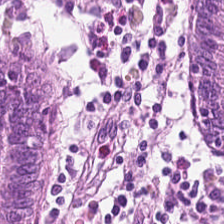Whole-slide-image patch. Hematoxylin-and-eosin stained section. 0.5 µm per pixel — Normal colon mucosa.
